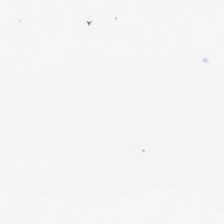Stain: H&E-stained tissue section.
Resolution: 0.5 µm per pixel.
Field content: no tissue.
